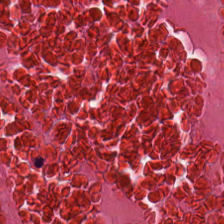{"tissue_type": "cellular debris"}
